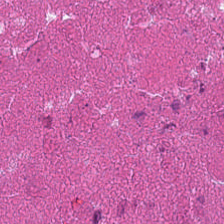Stain: H&E stain.
Classification: cellular debris.
